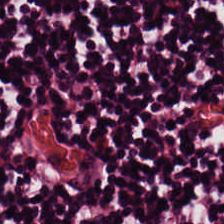H&E · FFPE tissue section · brightfield microscopy — {"tissue_type": "lymphoid infiltrate"}
